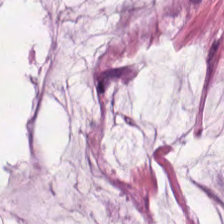H&E. FFPE tissue section — This field is mucus.
